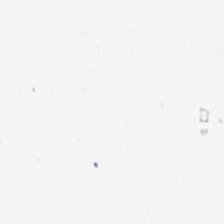Stain: hematoxylin and eosin.
Content: no tissue.
